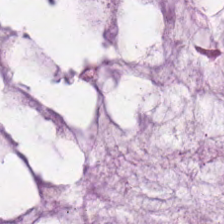0.5 µm/px · formalin-fixed paraffin-embedded section · H&E-stained tissue section.
Q: What is shown in this field?
A: The field shows mucus.
